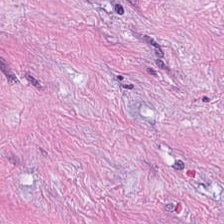Hematoxylin-and-eosin stained section · formalin-fixed paraffin-embedded section.
Q: What does this patch show?
A: The field shows cancer-associated stroma.
